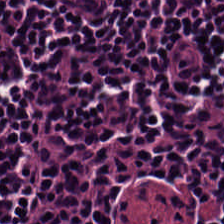H&E-stained tissue section · 224×224 px patch.
This field is lymphocytic infiltrate.
